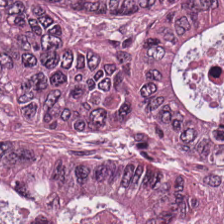H&E stain — Showing malignant epithelium.
